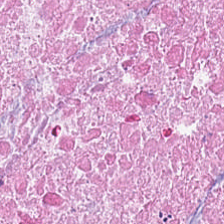Tissue class — cellular debris.
